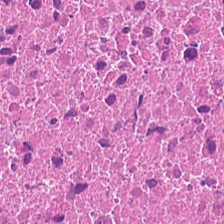H&E-stained tissue section; 224×224 px tile — Tissue = debris.
